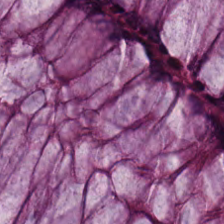Hematoxylin-and-eosin stained section. Predominant tissue: benign colonic mucosa.
